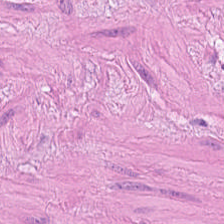Impression → muscularis.
